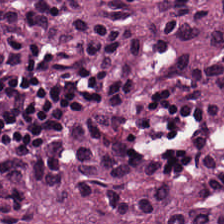Formalin-fixed paraffin-embedded section · hematoxylin and eosin — This field is colorectal adenocarcinoma.
